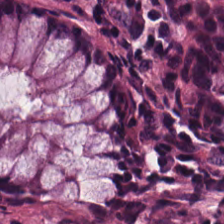Non-neoplastic colon mucosa.
